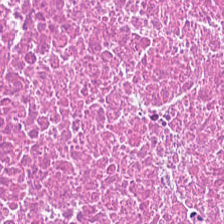Hematoxylin-and-eosin stained section · WSI patch — Finding — necrotic debris.
